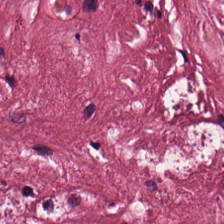H&E; formalin-fixed paraffin-embedded section.
Tissue class: cancer-associated stroma.
